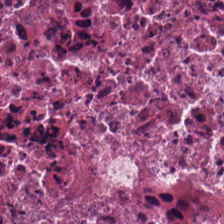Tissue type = debris.
